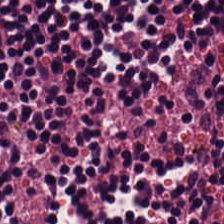Finding — lymphoid infiltrate.
